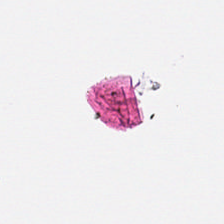Brightfield; H&E-stained tissue section; formalin-fixed paraffin-embedded section. No tissue.
